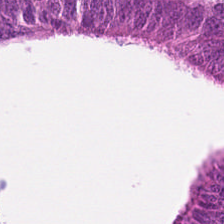224×224 pixel tile · H&E-stained tissue section. The predominant tissue is colorectal adenocarcinoma epithelium.
